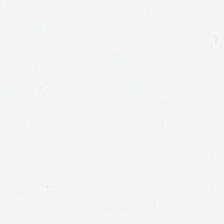H&E. The content is background (no tissue).
